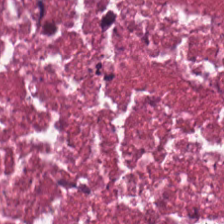H&E stain; 0.5 µm/px. Classification: debris.
